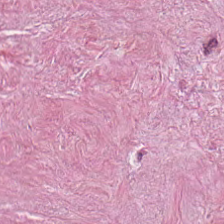WSI patch; hematoxylin-and-eosin stained section — The tissue here is tumor stroma.
